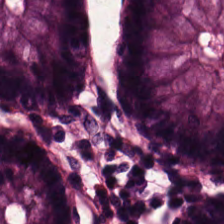H&E-stained tissue section. The predominant tissue is non-neoplastic colon mucosa.
